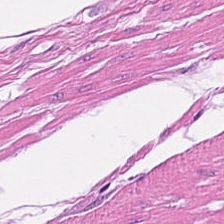H&E stain — Finding → muscularis.
